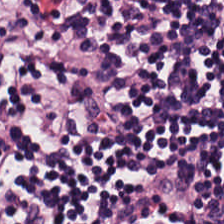H&E-stained tissue section.
The tissue here is lymphocyte aggregate.
